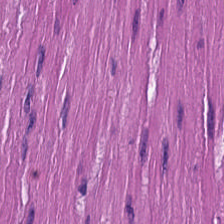224×224 pixel tile. H&E-stained tissue section.
Q: What tissue type is shown here?
A: Smooth-muscle tissue.
